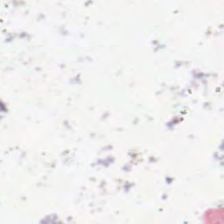Whole-slide-image patch · FFPE tissue section · H&E stain. The content is empty background.
